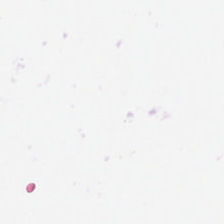Stain: H&E.
Resolution: 0.5 microns per pixel.
Classification: background.
